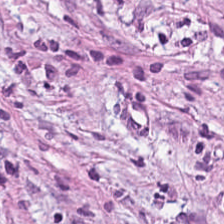H&E stain. This patch shows tumor stroma.
